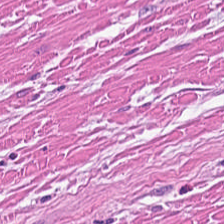H&E.
Showing muscularis.
